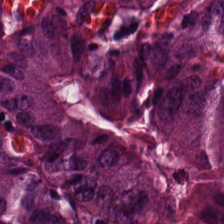H&E.
The tissue here is colorectal adenocarcinoma.
